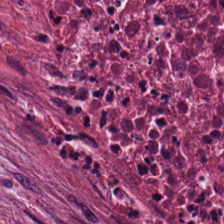H&E stain. 224×224 pixel tile. Showing cellular debris.
